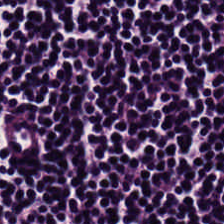Hematoxylin-and-eosin stained section.
The tissue type is lymphocyte aggregate.
